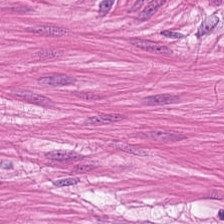H&E stain — The tissue class is smooth muscle.
